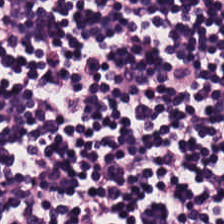Stain: H&E-stained tissue section.
Classification: lymphocytes.
